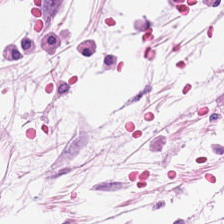Hematoxylin and eosin — The predominant tissue is fat tissue.
